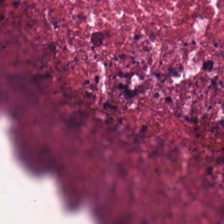The tissue type is necrotic debris.
